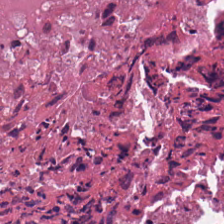Hematoxylin-and-eosin section: necrotic debris.
